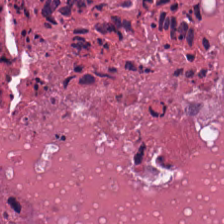Predominantly necrotic debris.
